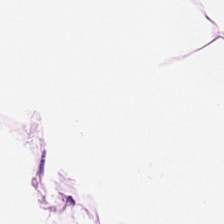H&E stain — The tissue is fat tissue.
